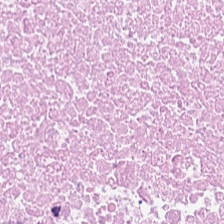H&E-stained tissue section.
The tissue here is debris.
